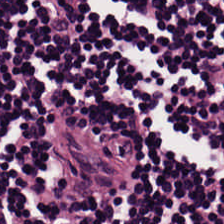Q: What tissue type is shown here?
A: This is lymphocyte aggregate.
